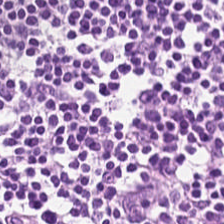Hematoxylin and eosin — Showing lymphocytes.
